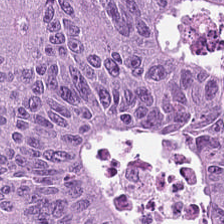0.5 µm/px. H&E. Tissue class = colorectal adenocarcinoma epithelium.
